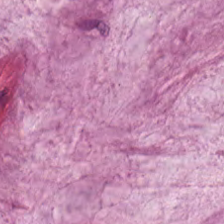FFPE; H&E-stained tissue section; 224×224 pixel tile. {"tissue_type": "mucin"}
